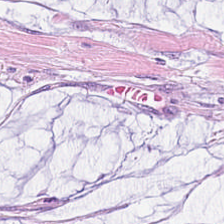H&E-stained tissue section showing mucus.
